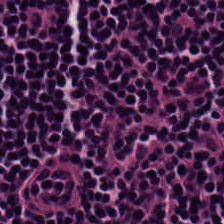H&E-stained tissue section. Showing lymphocyte aggregate.
